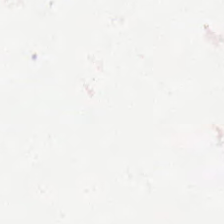Hematoxylin and eosin · 224×224 pixel tile. Empty field — background.
